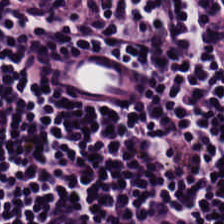Hematoxylin and eosin.
This patch shows lymphoid infiltrate.
